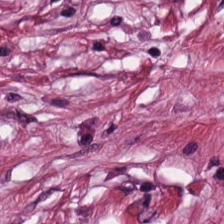Stain: H&E-stained tissue section.
Predominant tissue: cancer-associated stroma.
